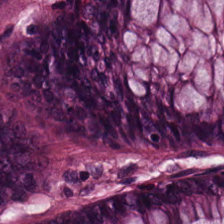Stain: H&E stain.
Preparation: formalin-fixed paraffin-embedded section.
Tissue class: non-neoplastic colon mucosa.
